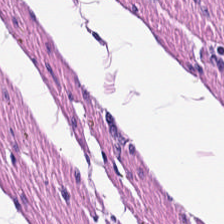0.5 microns per pixel; hematoxylin and eosin. Predominantly muscularis.
